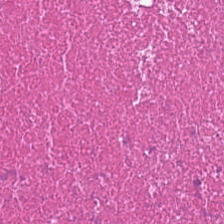H&E stain.
Cellular debris.
